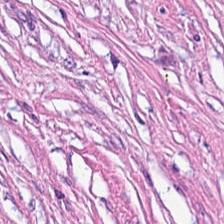{"tissue_type": "cancer-associated stroma"}
